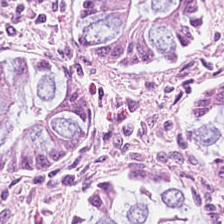Hematoxylin and eosin.
Predominantly normal colonic mucosa.
